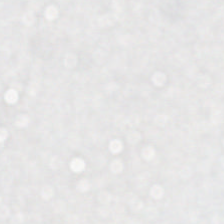H&E-stained tissue section — Background — no tissue in this field.
